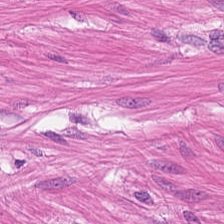Stain: H&E.
Tissue class: smooth muscle.
